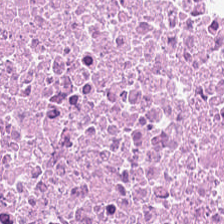Stain: hematoxylin-and-eosin stained section.
Tissue class: necrotic debris.
